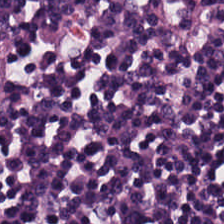Hematoxylin-and-eosin stained section. 0.5 µm/px.
This field is lymphocytic infiltrate.
